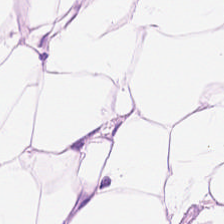Tissue — adipose tissue.
